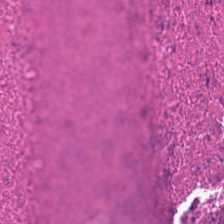H&E-stained tissue section.
Finding → debris.
